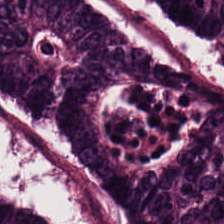Stain: H&E-stained tissue section.
Tissue type: adenocarcinoma.
